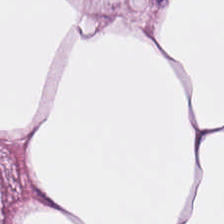Stain: hematoxylin and eosin.
Tissue: fat tissue.
